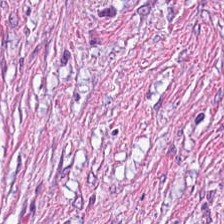FFPE tissue section · WSI patch · hematoxylin and eosin. Predominant tissue = tumor-associated stroma.
